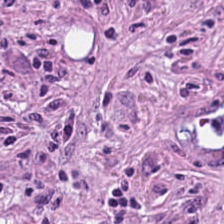Hematoxylin and eosin.
Q: What type of tissue is this?
A: It is desmoplastic stroma.
